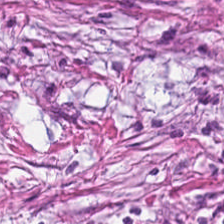Desmoplastic stroma.
